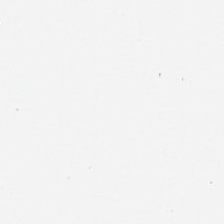H&E · 224×224 pixel tile — Classification: no tissue.
